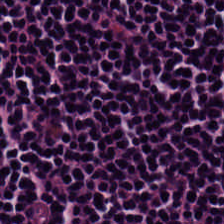H&E stain; FFPE tissue section. Predominant tissue: lymphocyte aggregate.
